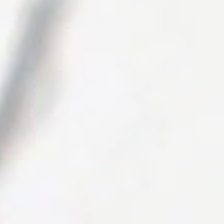Content: background (no tissue).
